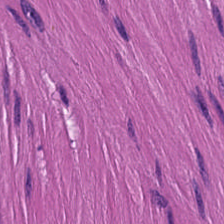H&E stain.
{"tissue_type": "smooth-muscle tissue"}
